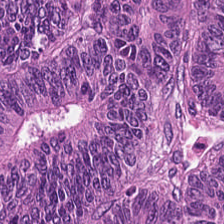H&E-stained tissue section. 0.5 microns per pixel — Tissue class: colorectal adenocarcinoma.
